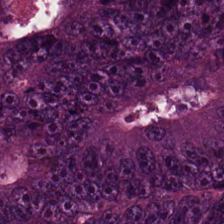H&E — The predominant tissue is adenocarcinoma.
